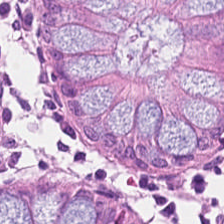Hematoxylin and eosin.
Tissue type — benign colonic mucosa.
